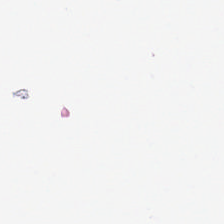H&E-stained tissue section.
Background — no tissue in this field.
